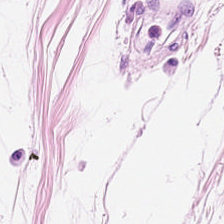Hematoxylin-and-eosin stained section. {"tissue_type": "adipose tissue"}
